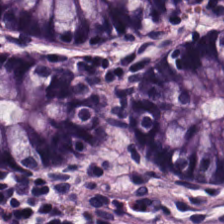H&E stain. 20× equivalent magnification. Showing normal colonic mucosa.
